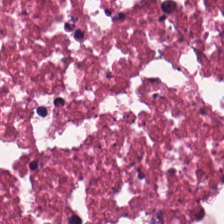Hematoxylin and eosin. Showing necrotic debris.
